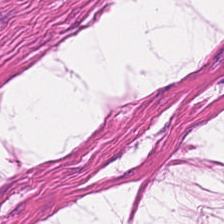Hematoxylin-and-eosin stained section. This field is smooth-muscle tissue.
